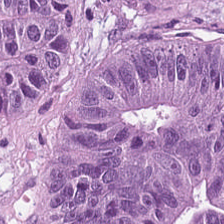{"tissue_type": "adenocarcinoma"}
